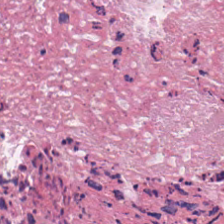Q: What is shown here?
A: This is necrotic debris.
